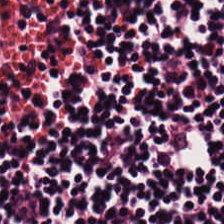This patch shows lymphocyte aggregate.
